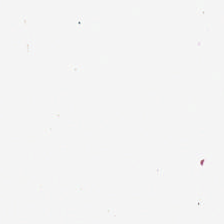Hematoxylin and eosin. Q: Classify this patch.
A: The field shows background (no tissue).
